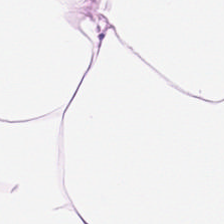H&E stain. 0.5 µm per pixel. The tissue here is adipocytes.
